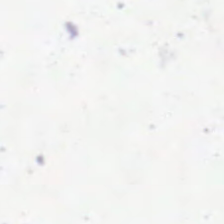Empty background.
